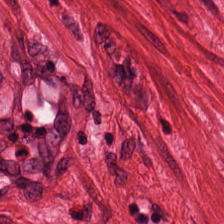Hematoxylin-and-eosin stained section.
This patch shows muscularis.
